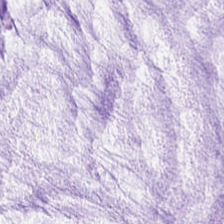Histology — mucus.
